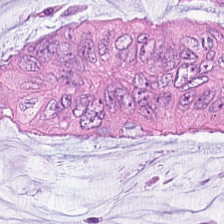Histology → mucus.
